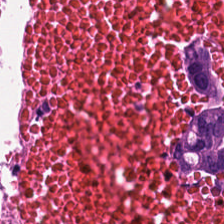Whole-slide-image patch · H&E. Tissue type = debris.
